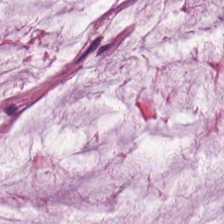H&E-stained tissue section · 0.5 microns per pixel. The predominant tissue is extracellular mucin.
